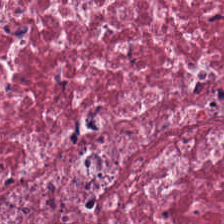H&E-stained tissue section · formalin-fixed paraffin-embedded section. Predominantly tumor-associated stroma.
